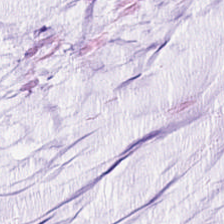Hematoxylin-and-eosin stained section. 0.5 microns per pixel.
Finding → mucus.
